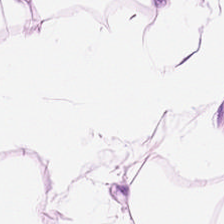H&E.
Adipose tissue.
